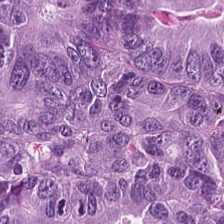H&E stain · 224×224 px tile · whole-slide-image patch. Predominantly colorectal adenocarcinoma epithelium.
